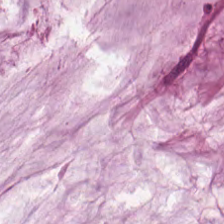H&E-stained tissue section. This patch shows mucin.
